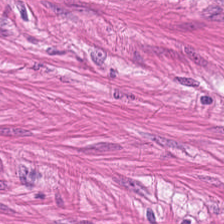H&E stain. Tissue class — smooth muscle.
